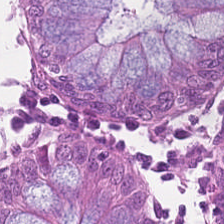H&E.
Showing benign colonic mucosa.
